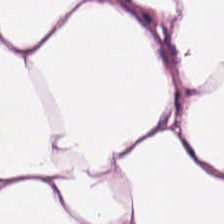Hematoxylin-and-eosin stained section — Q: What is shown in this field?
A: The field shows adipose.
